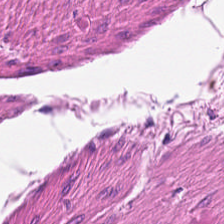Stain: H&E-stained tissue section.
Tissue: muscularis.
